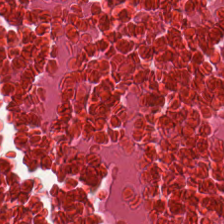This patch shows necrotic debris.
